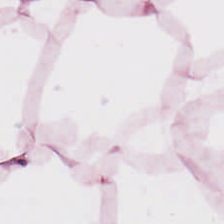Adipose tissue.
